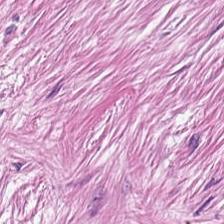Hematoxylin and eosin — The tissue type is desmoplastic stroma.
